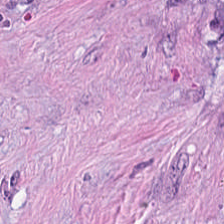Hematoxylin-and-eosin stained section — Histology — tumor-associated stroma.
